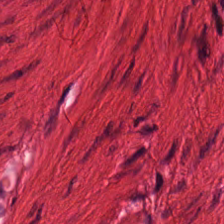WSI patch · hematoxylin-and-eosin stained section. This patch shows smooth muscle.
